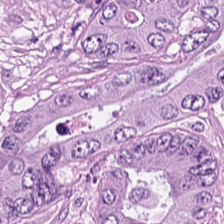H&E-stained tissue section. 0.5 µm/px.
Predominantly colorectal adenocarcinoma.
